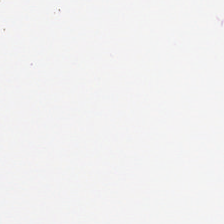Stain: H&E stain.
Tissue type: muscularis.
